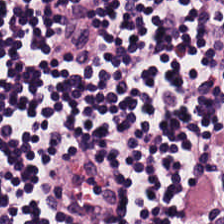Stain: H&E stain.
Acquisition: WSI patch.
Resolution: 0.5 µm/px.
Tissue type: lymphocyte aggregate.
